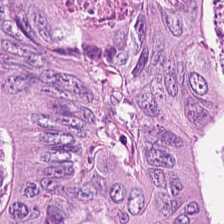FFPE tissue section · H&E · 224×224 px patch.
Q: What is shown in this field?
A: This is adenocarcinoma.
